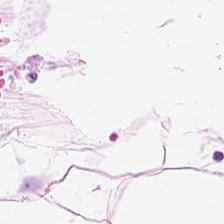FFPE tissue section · H&E stain — The tissue type is adipose tissue.
